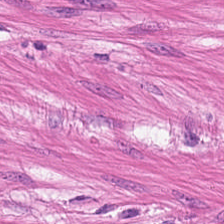Hematoxylin-and-eosin stained section — Q: What does this patch show?
A: The field shows smooth muscle.
